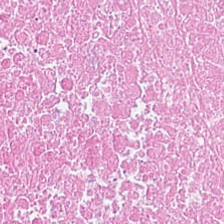Hematoxylin and eosin · 0.5 microns per pixel. Showing debris.
